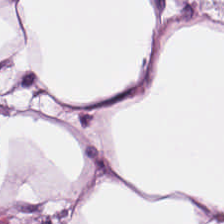H&E — The classification is adipocytes.
